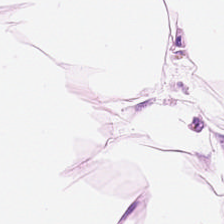{"tissue_type": "fat tissue"}
